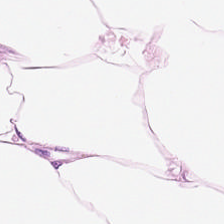Hematoxylin-and-eosin stained section.
This patch shows fat tissue.
